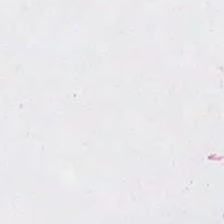WSI patch · H&E-stained tissue section · FFPE tissue section.
Histology — background (no tissue).
